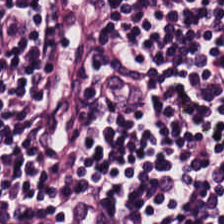Hematoxylin and eosin. Whole-slide-image patch — Impression — lymphocyte aggregate.
